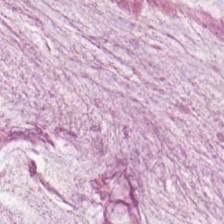H&E-stained tissue section showing extracellular mucin.
